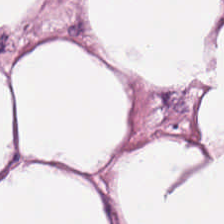Formalin-fixed paraffin-embedded section; H&E stain. Q: What tissue is shown?
A: This is adipose tissue.
